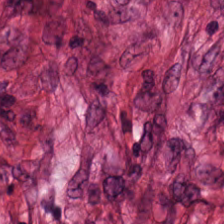H&E-stained tissue section.
The classification is cancer-associated stroma.
